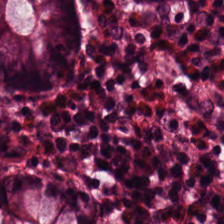Hematoxylin-and-eosin stained section. Q: Classify this patch.
A: This is non-neoplastic colon mucosa.
